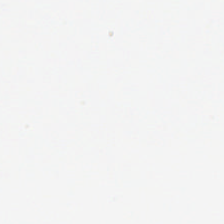Hematoxylin and eosin. The field content is empty background.
